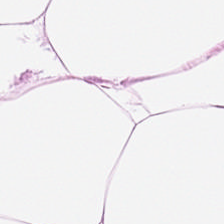Stain: H&E stain.
Tissue: adipocytes.
